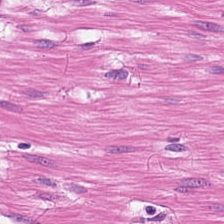Hematoxylin and eosin.
Finding → muscularis.
